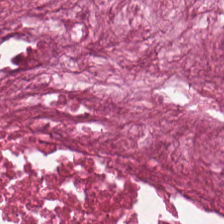H&E. This patch shows debris.
